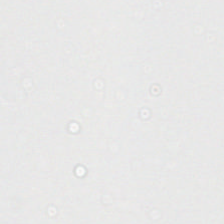Hematoxylin-and-eosin stained section — Finding → background.
